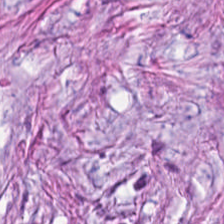H&E; formalin-fixed paraffin-embedded section.
Impression — cancer-associated stroma.
